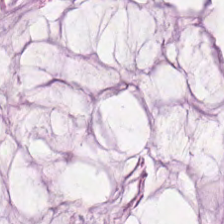H&E stain.
Showing extracellular mucin.
